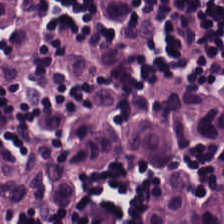Hematoxylin and eosin.
Predominantly lymphoid infiltrate.
